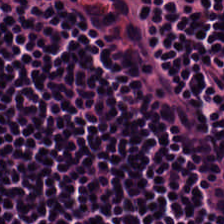H&E stain.
This patch shows lymphocytes.
